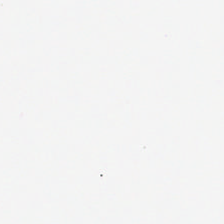Hematoxylin-and-eosin stained section · FFPE. Background (no tissue).
